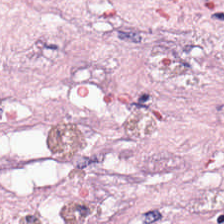H&E · 224×224 px patch · FFPE.
{"tissue_type": "cancer-associated stroma"}
